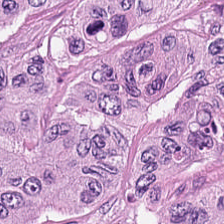Formalin-fixed paraffin-embedded section; hematoxylin and eosin; 224×224 px patch.
Classification — tumor epithelium.
